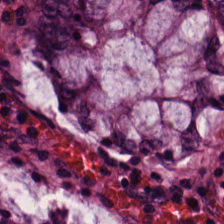Hematoxylin and eosin · 224×224 px patch. {"tissue_type": "non-neoplastic colon mucosa"}
